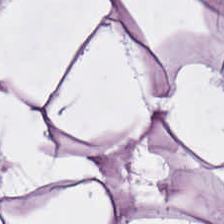224×224 pixel tile. H&E stain — Tissue type: fat tissue.
